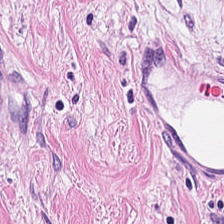Hematoxylin-and-eosin stained section. 224×224 pixel tile. Tissue type — tumor stroma.
